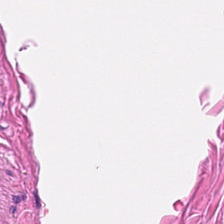WSI patch. H&E — Showing smooth-muscle tissue.
